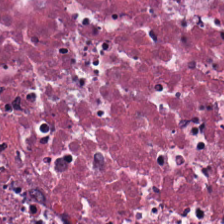0.5 microns per pixel. Hematoxylin-and-eosin stained section. FFPE — Finding → cellular debris.
